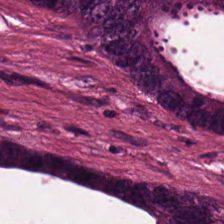20× equivalent magnification; FFPE tissue section; H&E-stained tissue section. This patch shows tumor epithelium.
